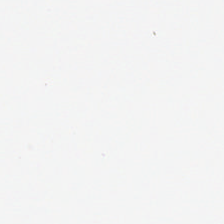FFPE tissue section; 224×224 px tile; hematoxylin and eosin.
Q: What is shown in this field?
A: The field shows no tissue.
